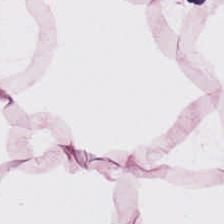FFPE · hematoxylin-and-eosin stained section — This patch shows adipose tissue.
